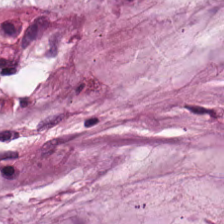Whole-slide-image patch · 224×224 px patch · H&E.
Q: What is shown in this field?
A: This is mucus.
